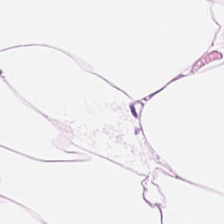Predominantly adipose tissue.
